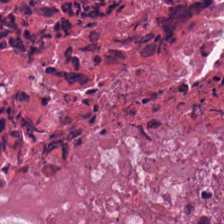Stain: H&E stain.
Acquisition: whole-slide-image patch.
Tile size: 224×224 px tile.
Tissue: cellular debris.
